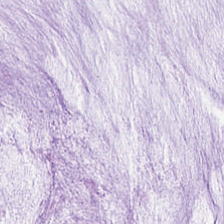H&E-stained tissue section. Finding → mucin.
